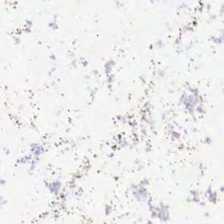Formalin-fixed paraffin-embedded section. 224×224 px patch. H&E. Q: What is shown here?
A: The field shows background.
